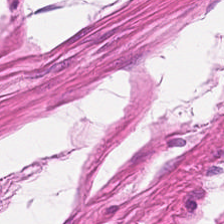Predominantly smooth muscle.
